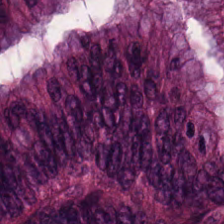The predominant tissue is malignant epithelium.
